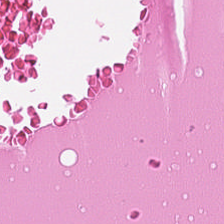224×224 px patch · hematoxylin and eosin — Predominant tissue: debris.
